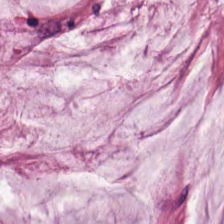Hematoxylin-and-eosin stained section. The tissue here is mucin.
